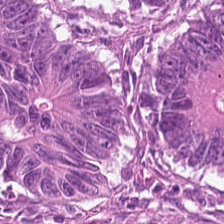FFPE; hematoxylin and eosin; 224×224 pixel tile — Q: Identify the tissue.
A: It is colorectal adenocarcinoma epithelium.
